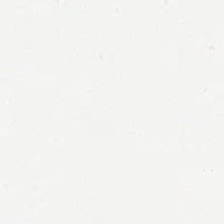H&E.
Q: What is shown in this field?
A: Empty background.
